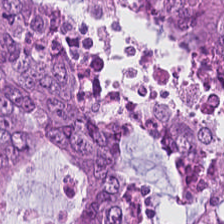H&E-stained tissue section. Q: What is shown in this field?
A: Colorectal adenocarcinoma epithelium.
